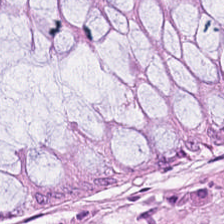H&E-stained tissue section.
Q: What is the predominant tissue type?
A: Benign colonic mucosa.
